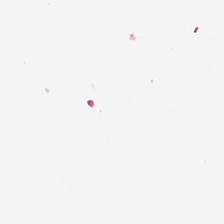Stain: hematoxylin-and-eosin stained section.
Classification: empty background.
